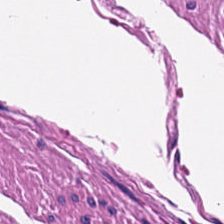H&E stain — {"tissue_type": "muscularis"}
